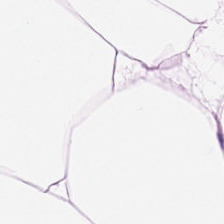224×224 pixel tile. H&E stain. Adipose tissue.
